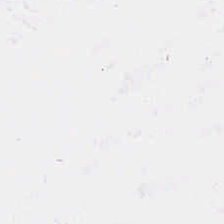Hematoxylin-and-eosin stained section — Background — no tissue in this field.
